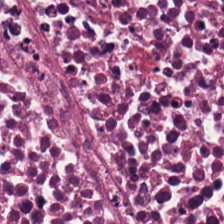H&E-stained tissue section.
Classification = debris.
